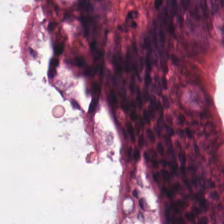Hematoxylin-and-eosin stained section. Finding → non-neoplastic colon mucosa.
